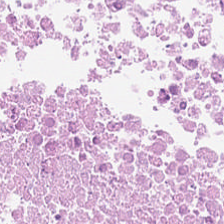Stain: H&E stain.
Tissue type: necrotic debris.
